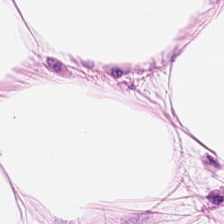H&E.
Predominantly adipose tissue.
